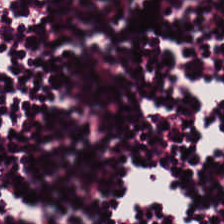H&E — Classification — lymphoid infiltrate.
